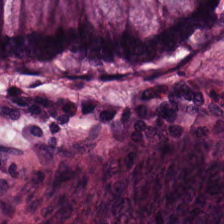Hematoxylin-and-eosin section: benign colonic mucosa.
